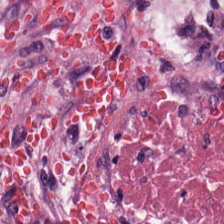H&E. Q: What is shown here?
A: The field shows cellular debris.
